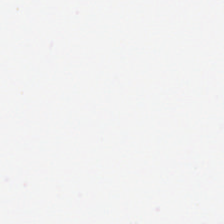Hematoxylin and eosin · 224×224 px tile — Impression → background.
